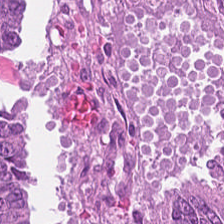H&E stain. Tissue type = malignant epithelium.
